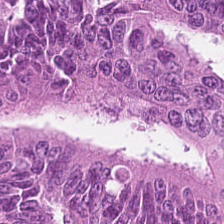FFPE; H&E stain.
Showing adenocarcinoma.
